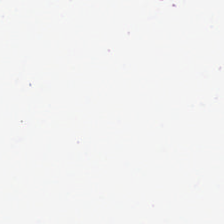Hematoxylin-and-eosin stained section — Empty field — background.
